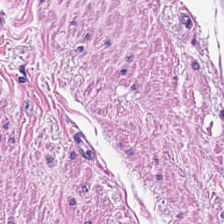Hematoxylin and eosin; FFPE. Q: Classify this patch.
A: The field shows smooth-muscle tissue.
